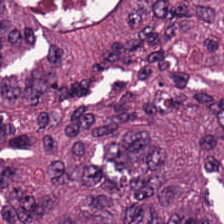Hematoxylin-and-eosin stained section.
Q: What is shown here?
A: Tumor epithelium.
